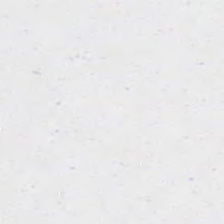Empty field — background.
